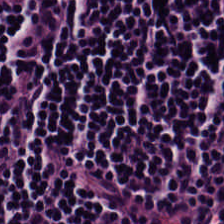H&E-stained tissue section. Brightfield microscopy. {"tissue_type": "lymphoid infiltrate"}
